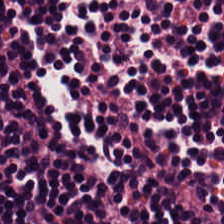H&E-stained tissue section — This patch shows lymphocyte aggregate.
